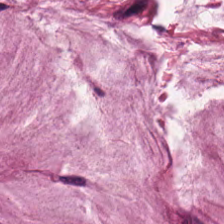H&E stain — This field is extracellular mucin.
